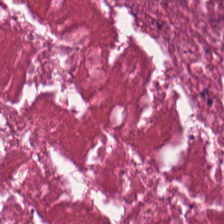224×224 pixel tile. H&E. Brightfield microscopy — Q: What tissue is shown?
A: This is necrotic debris.
